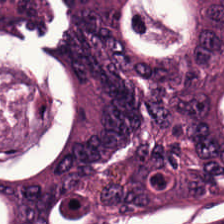The predominant tissue is colorectal adenocarcinoma.
